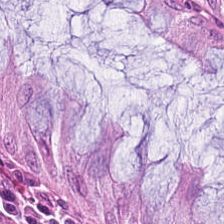Hematoxylin and eosin. Non-neoplastic colon mucosa.
